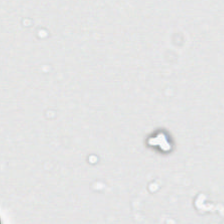Empty field — background.
